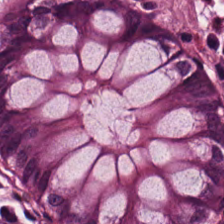FFPE tissue section · H&E — This field is normal colonic mucosa.
